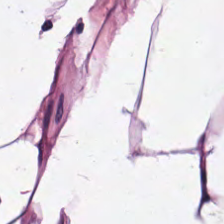H&E patch showing fat tissue.
